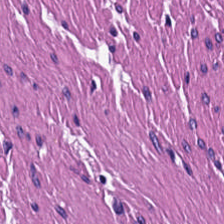224×224 pixel tile. Hematoxylin and eosin. The predominant tissue is muscularis.
